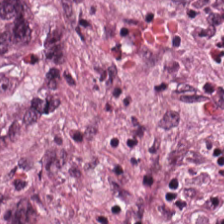WSI patch. H&E-stained tissue section — Predominant tissue = tumor epithelium.
